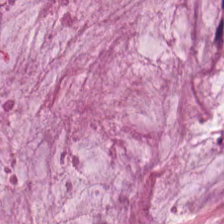Hematoxylin and eosin · whole-slide-image patch. The predominant tissue is extracellular mucin.
